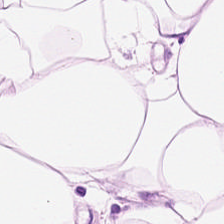H&E stain — Tissue class — adipocytes.
